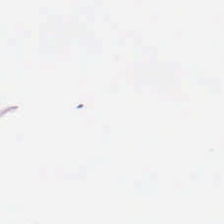FFPE tissue section; H&E. Histology → empty background.
